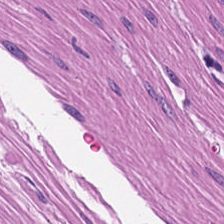H&E — Showing muscularis.
